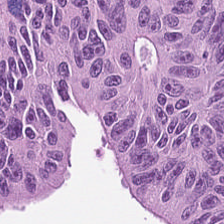Stain: hematoxylin-and-eosin stained section.
Predominant tissue: colorectal adenocarcinoma.
